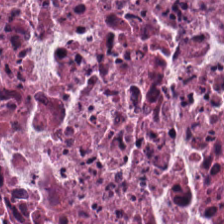FFPE; H&E-stained tissue section — Q: What is shown here?
A: It is debris.
